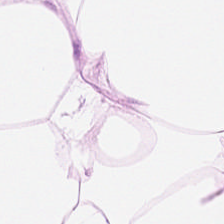Classification — fat tissue.
